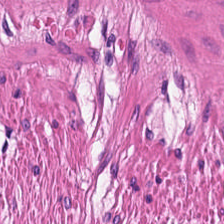H&E stain — Classification — smooth-muscle tissue.
